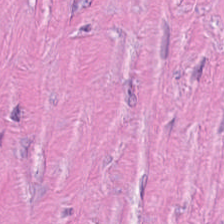H&E-stained tissue section; 20× equivalent magnification.
Histology — tumor stroma.
